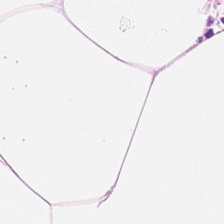Brightfield microscopy · H&E. Q: What is shown here?
A: This is adipocytes.
